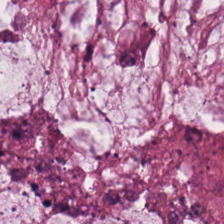Formalin-fixed paraffin-embedded section. Hematoxylin and eosin. Tissue class — mucin.
